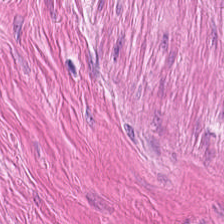H&E stain. 20× equivalent magnification. Finding — muscularis.
